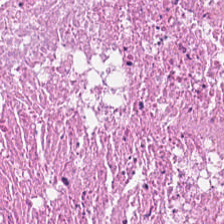Stain: H&E-stained tissue section.
Classification: necrotic debris.
